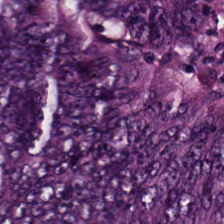Hematoxylin and eosin · 224×224 pixel tile — The tissue here is colorectal adenocarcinoma epithelium.
